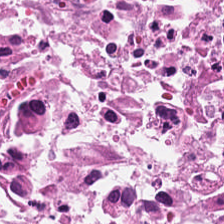Hematoxylin-and-eosin stained section · 224×224 pixel tile — The predominant tissue is necrotic debris.
